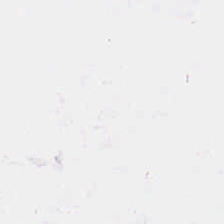H&E. {"content": "background"}
